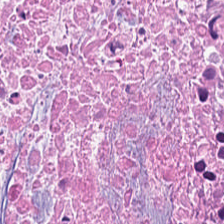Stain: H&E.
Preparation: formalin-fixed paraffin-embedded section.
Tissue type: cellular debris.
